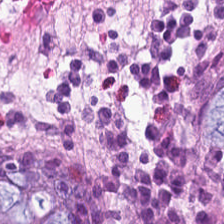Benign colonic mucosa.
